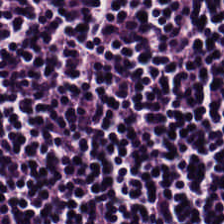H&E stain; FFPE.
This field is lymphoid infiltrate.
